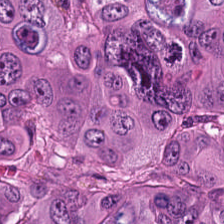0.5 microns per pixel. Hematoxylin and eosin. 224×224 px tile — This patch shows malignant epithelium.
